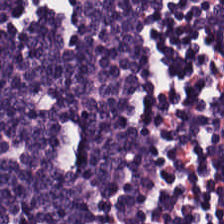Showing lymphocytes.
